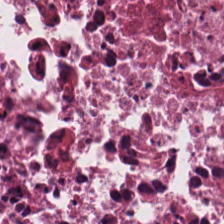H&E stain.
Predominant tissue = cellular debris.
